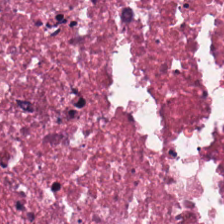224×224 px tile · H&E. Predominantly cellular debris.
